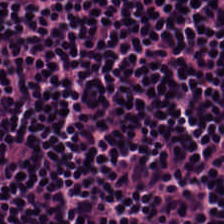Predominantly lymphocytes.
